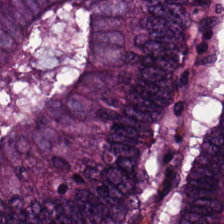Showing adenocarcinoma.
